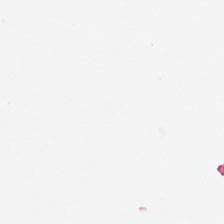FFPE. H&E stain. 0.5 µm per pixel. Empty field — background.
